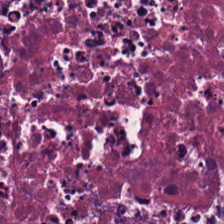Hematoxylin-and-eosin stained section.
Tissue class = cellular debris.
